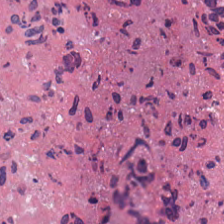Whole-slide-image patch; 0.5 microns per pixel; H&E — Finding → debris.
